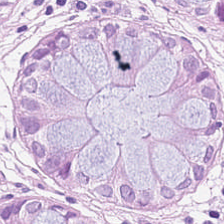20× equivalent magnification; H&E-stained tissue section. Tissue type — non-neoplastic colon mucosa.
